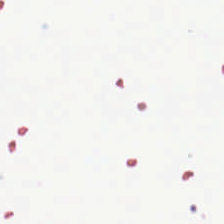Formalin-fixed paraffin-embedded section; 20× equivalent magnification; hematoxylin and eosin — This patch shows empty background.
